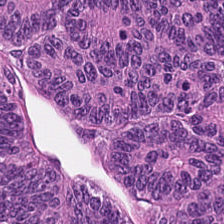H&E stain · brightfield.
Colorectal adenocarcinoma.
